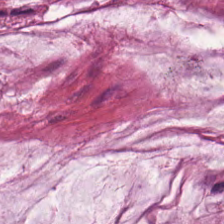H&E — The tissue here is mucin.
